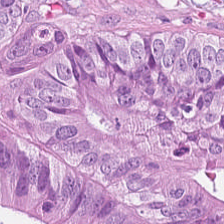Hematoxylin-and-eosin stained section. The predominant tissue is colorectal adenocarcinoma epithelium.
